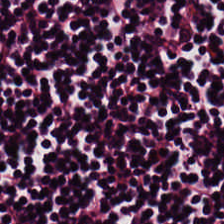Hematoxylin and eosin. 0.5 µm per pixel.
Q: What does this patch show?
A: This is lymphoid infiltrate.
